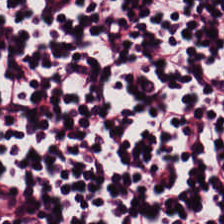Stain: hematoxylin and eosin.
Tissue class: lymphocytes.
